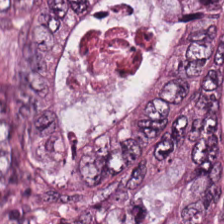H&E-stained tissue section — {"tissue_type": "colorectal adenocarcinoma epithelium"}
